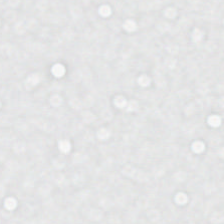Hematoxylin-and-eosin stained section — Q: What is shown here?
A: The field shows empty background.
